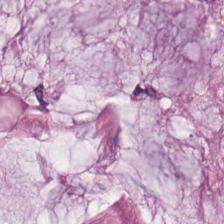This patch shows mucin.
